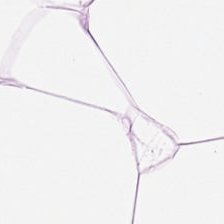H&E patch showing adipose tissue.
